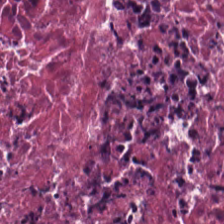{"tissue_type": "debris"}
